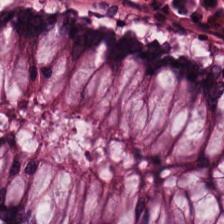Hematoxylin and eosin.
Finding → normal colonic mucosa.
